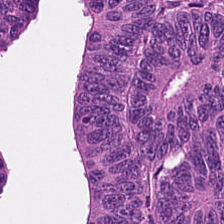Predominant tissue — adenocarcinoma.
